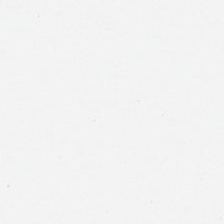Hematoxylin and eosin — No tissue present; background only.
